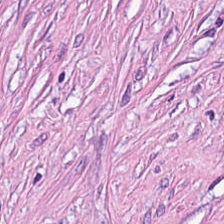H&E.
Showing tumor stroma.
